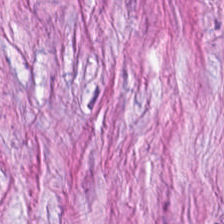Q: What tissue type is shown here?
A: Cancer-associated stroma.
